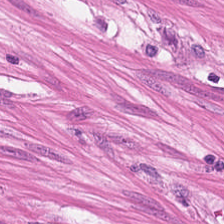H&E; FFPE tissue section.
Tissue class — muscularis.
